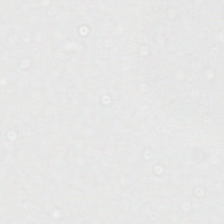Hematoxylin and eosin. 0.5 µm/px. No tissue present; background only.
